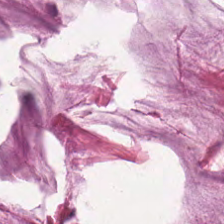H&E. Showing mucin.
